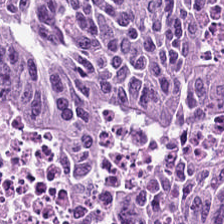0.5 microns per pixel · H&E-stained tissue section — Showing malignant epithelium.
